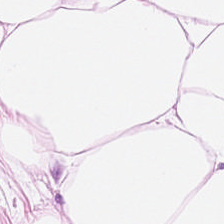Showing adipose tissue.
